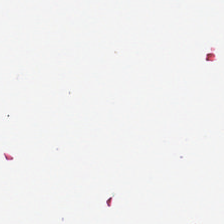H&E-stained tissue section; FFPE tissue section; 20× equivalent magnification. Q: What is shown in this field?
A: The field shows no tissue.
